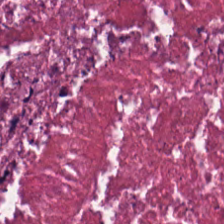Stain: hematoxylin-and-eosin stained section.
Predominant tissue: necrotic debris.
